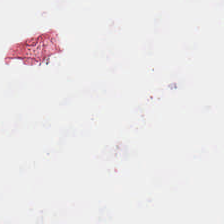No tissue present; background only.
